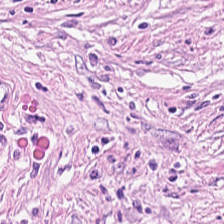Stain: H&E.
Predominant tissue: tumor stroma.
